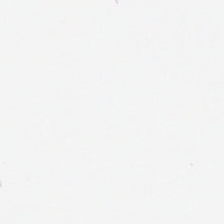H&E-stained tissue section. {"content": "background"}
